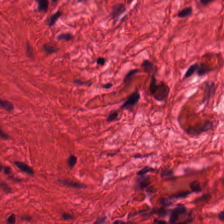Brightfield · H&E stain.
Showing smooth-muscle tissue.
